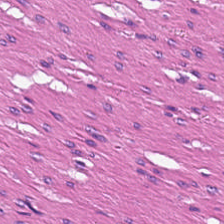FFPE tissue section; 224×224 pixel tile; H&E-stained tissue section — Muscularis.
